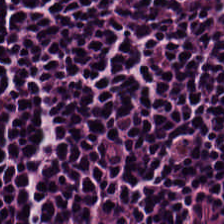H&E.
This field is lymphocytes.
